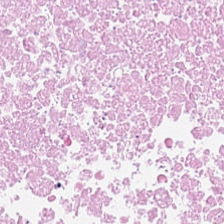FFPE tissue section; 0.5 microns per pixel; H&E-stained tissue section — The predominant tissue is necrotic debris.
